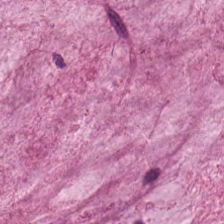H&E-stained section; the field shows mucin.
